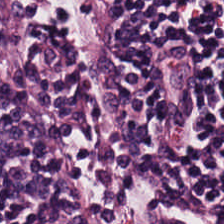Hematoxylin and eosin.
Predominant tissue = lymphoid infiltrate.
